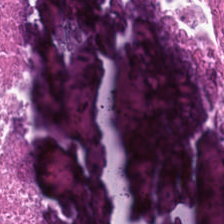0.5 µm/px · 224×224 pixel tile · H&E stain. Showing necrotic debris.
